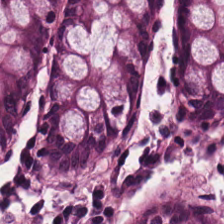H&E. The predominant tissue is normal colon mucosa.
